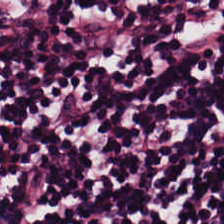Stain: hematoxylin-and-eosin stained section.
Resolution: 20× equivalent magnification.
Tile size: 224×224 px tile.
Classification: lymphocytic infiltrate.
